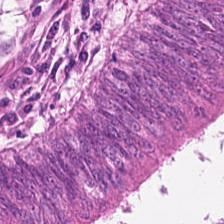Hematoxylin and eosin · formalin-fixed paraffin-embedded section — Q: Classify this patch.
A: This is colorectal adenocarcinoma.
